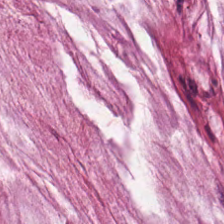H&E. Formalin-fixed paraffin-embedded section. 224×224 pixel tile. Predominantly mucus.
